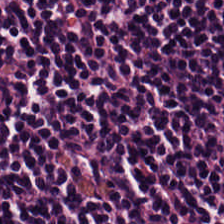Tissue class: lymphocytes.
